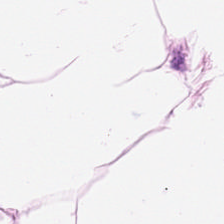H&E. Whole-slide-image patch. 20× equivalent magnification. Q: What is shown here?
A: The field shows adipose tissue.
